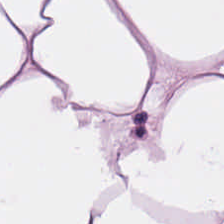H&E stain.
Predominant tissue = fat tissue.
